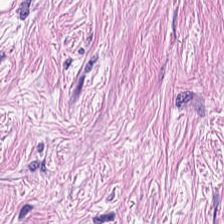Hematoxylin-and-eosin stained section.
Q: What is the predominant tissue type?
A: Cancer-associated stroma.
